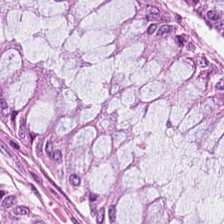H&E stain — The tissue here is non-neoplastic colon mucosa.
